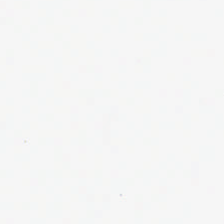0.5 microns per pixel; hematoxylin-and-eosin stained section; FFPE tissue section — Background — no tissue in this field.
